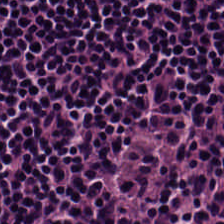Whole-slide-image patch. H&E-stained tissue section. Tissue type = lymphoid infiltrate.
